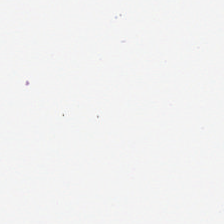H&E-stained tissue section.
This field is background (no tissue).
